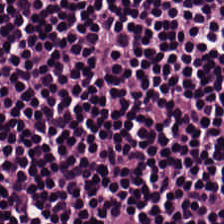Brightfield. H&E stain.
Finding — lymphocyte aggregate.
